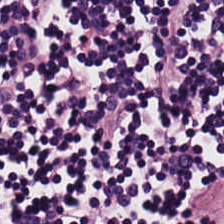H&E · 224×224 px patch · brightfield — The predominant tissue is lymphoid infiltrate.
